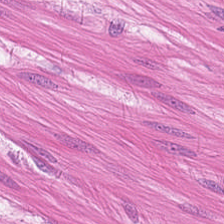H&E-stained tissue section. 0.5 microns per pixel — This patch shows smooth muscle.
